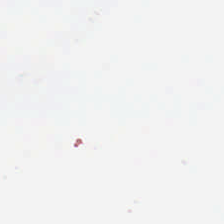Content — background (no tissue).
